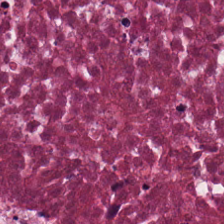This patch shows necrotic debris.
